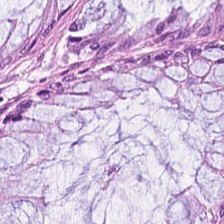H&E-stained tissue section. This patch shows normal colonic mucosa.
